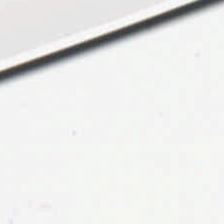Field content — background (no tissue).
